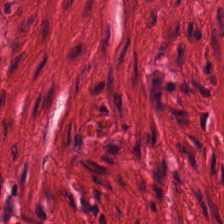0.5 µm/px. H&E-stained tissue section. Tissue type — smooth-muscle tissue.
